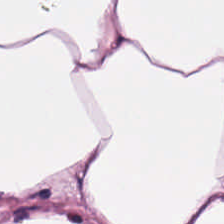Whole-slide-image patch; hematoxylin and eosin; 0.5 µm per pixel. Histology → adipocytes.
